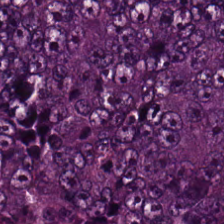H&E.
Predominant tissue = malignant epithelium.
